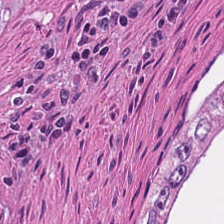Hematoxylin-and-eosin stained section — This patch shows cellular debris.
